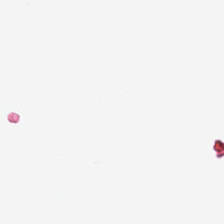Hematoxylin and eosin — Impression → empty background.
